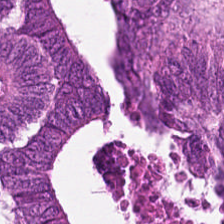Hematoxylin and eosin.
The tissue is adenocarcinoma.
